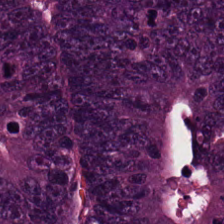Formalin-fixed paraffin-embedded section · 0.5 microns per pixel · H&E stain — Predominantly malignant epithelium.
